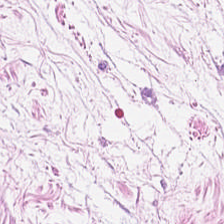Stain: hematoxylin and eosin.
Tissue: adipose tissue.
